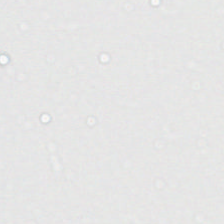Hematoxylin and eosin. 224×224 px patch — Q: What does this patch show?
A: This is empty background.
